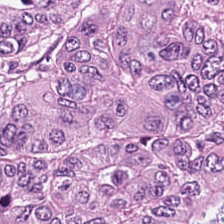0.5 µm per pixel; brightfield; H&E.
Predominant tissue: tumor epithelium.
